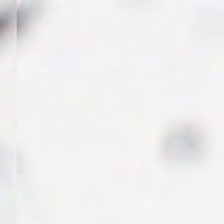Hematoxylin and eosin.
Field content — no tissue.
